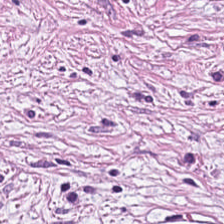H&E. Q: Identify the tissue.
A: It is tumor-associated stroma.
